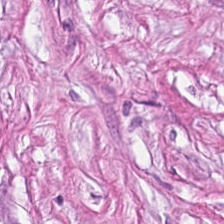Formalin-fixed paraffin-embedded section; 0.5 µm per pixel; H&E — Tissue type = cancer-associated stroma.
